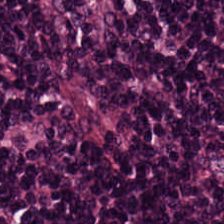Q: Identify the tissue.
A: This is lymphoid infiltrate.
